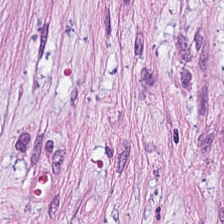H&E · 224×224 px tile.
Tissue type — cancer-associated stroma.
